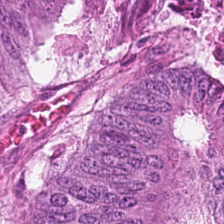Q: What does this patch show?
A: Malignant epithelium.
